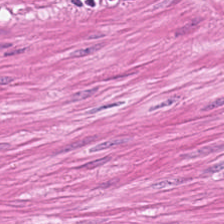Impression — smooth-muscle tissue.
